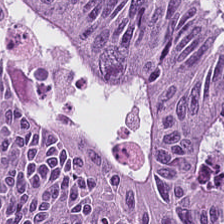Stain: H&E.
Acquisition: brightfield microscopy.
Tissue type: tumor epithelium.
